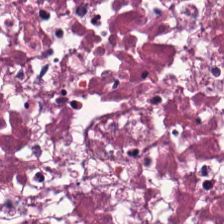FFPE; H&E-stained tissue section. Impression — cellular debris.
